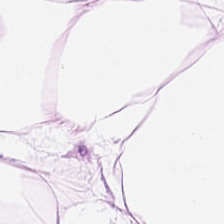0.5 µm per pixel. Hematoxylin and eosin.
Q: What is shown here?
A: This is fat tissue.
